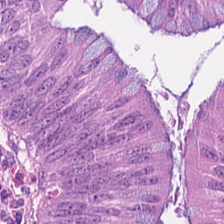Brightfield · hematoxylin and eosin. Predominantly tumor epithelium.
